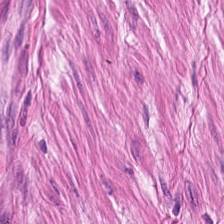H&E stain — The predominant tissue is smooth muscle.
